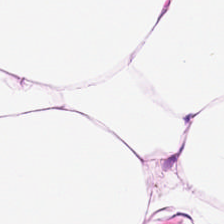Stain: hematoxylin and eosin.
Classification: fat tissue.
